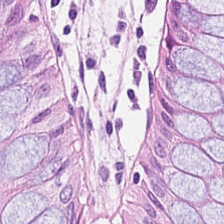Hematoxylin and eosin · 224×224 pixel tile. The predominant tissue is benign colonic mucosa.
